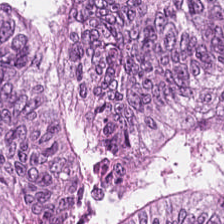224×224 px tile · hematoxylin and eosin.
Tissue = colorectal adenocarcinoma.
